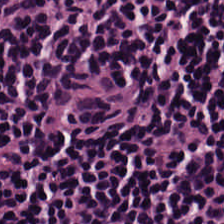FFPE · H&E-stained tissue section. This patch shows lymphocyte aggregate.
